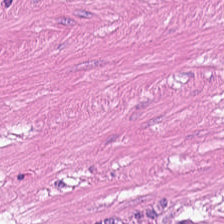Hematoxylin and eosin. FFPE.
Tissue type = muscularis.
